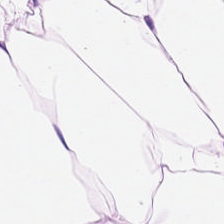224×224 px tile · brightfield · H&E-stained tissue section — Tissue class: adipose tissue.
